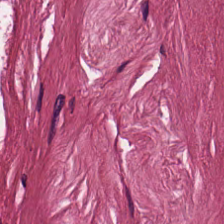Hematoxylin and eosin.
Q: What tissue type is shown here?
A: It is desmoplastic stroma.
